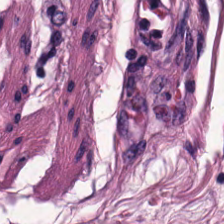H&E stain.
Smooth-muscle tissue.
